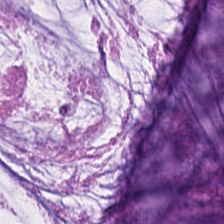Tissue — extracellular mucin.
